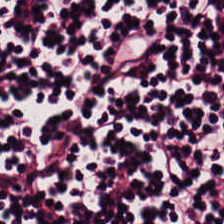H&E-stained section; the field shows lymphocyte aggregate.
